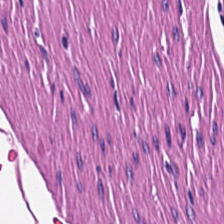H&E-stained tissue section.
The tissue type is muscularis.
